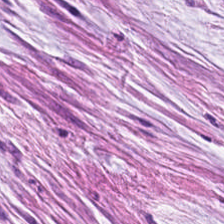224×224 px tile; hematoxylin-and-eosin stained section; FFPE. Showing mucus.
